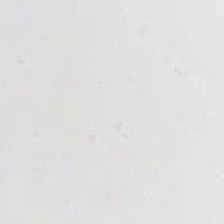224×224 px patch; hematoxylin and eosin. Q: What is shown here?
A: Background (no tissue).
